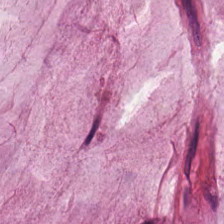This field is mucus.
